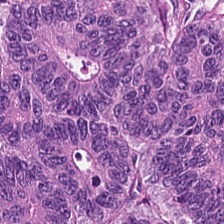Hematoxylin-and-eosin section: malignant epithelium.
